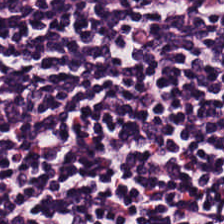224×224 pixel tile; H&E-stained tissue section.
Tissue type — lymphocyte aggregate.
